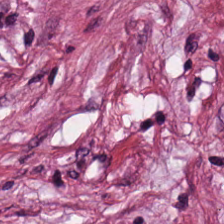Stain: H&E stain.
Tile size: 224×224 px patch.
Tissue class: desmoplastic stroma.
